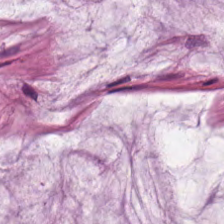H&E stain · 224×224 px tile. {"tissue_type": "mucus"}
